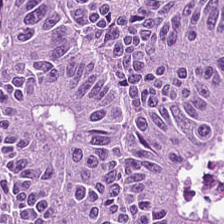Whole-slide-image patch · H&E stain. Tissue — malignant epithelium.
